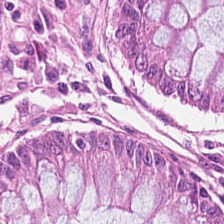Impression — benign colonic mucosa.
